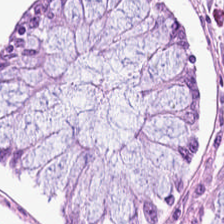H&E-stained tissue section — Tissue = benign colonic mucosa.
